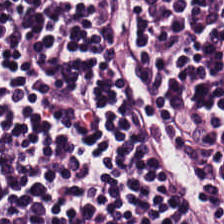224×224 pixel tile; H&E stain; FFPE — The tissue type is lymphocytic infiltrate.
